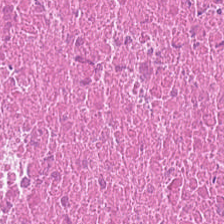0.5 microns per pixel; H&E stain — {"tissue_type": "necrotic debris"}
